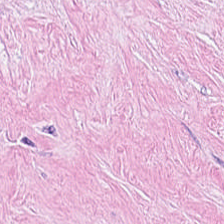Stain: hematoxylin and eosin.
Resolution: 0.5 microns per pixel.
Classification: tumor-associated stroma.
